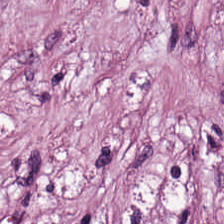H&E. Brightfield.
Showing cancer-associated stroma.
